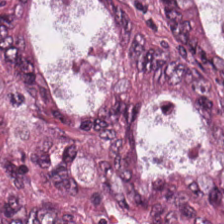Brightfield microscopy. H&E-stained tissue section.
Tissue class: colorectal adenocarcinoma epithelium.
